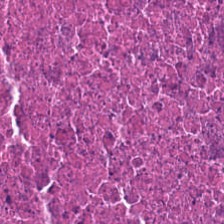H&E stain — Showing necrotic debris.
